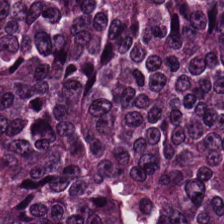0.5 microns per pixel; hematoxylin-and-eosin stained section — Q: What type of tissue is this?
A: It is malignant epithelium.
